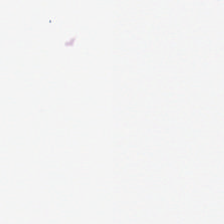H&E-stained tissue section — Q: What is shown in this field?
A: Empty background.
